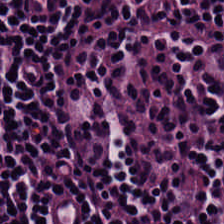H&E stain; whole-slide-image patch. Q: What tissue is shown?
A: This is lymphocyte aggregate.
